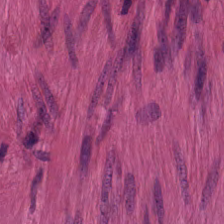Whole-slide-image patch · 224×224 px patch · H&E. {"tissue_type": "muscularis"}
